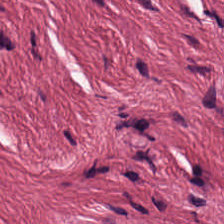H&E-stained tissue section. Q: What is shown here?
A: The field shows tumor-associated stroma.
